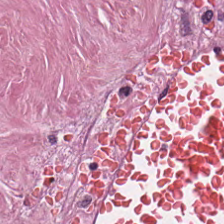Hematoxylin-and-eosin stained section. Finding → desmoplastic stroma.
